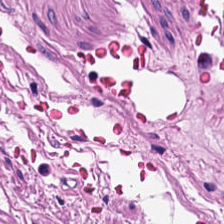H&E · FFPE.
The predominant tissue is smooth muscle.
